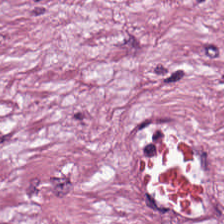H&E stain · 0.5 µm per pixel · whole-slide-image patch — Tissue type: desmoplastic stroma.
